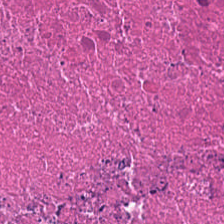Brightfield. H&E-stained tissue section — {"tissue_type": "cellular debris"}
